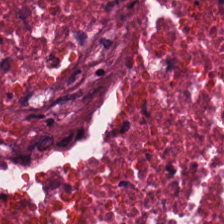Stain: hematoxylin-and-eosin stained section.
Tile size: 224×224 px tile.
Tissue class: debris.
